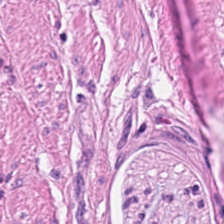Q: Identify the tissue.
A: This is smooth muscle.
